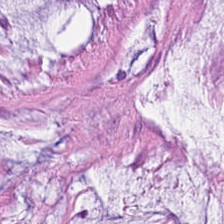H&E stain. Q: What is shown in this field?
A: The field shows mucin.
